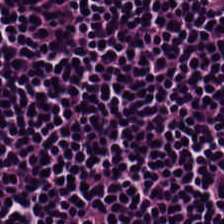FFPE tissue section · 20× equivalent magnification · H&E. {"tissue_type": "lymphocyte aggregate"}
